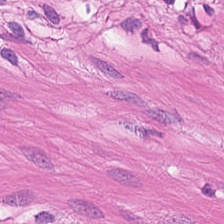FFPE tissue section · H&E-stained tissue section · 0.5 µm/px.
Predominant tissue — muscularis.
